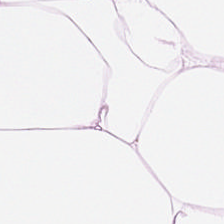Brightfield · hematoxylin-and-eosin stained section. Q: What is shown in this field?
A: This is adipose.
